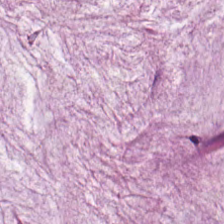224×224 pixel tile. Hematoxylin and eosin. Mucus.
